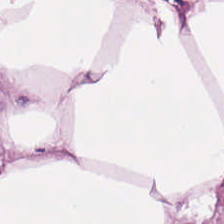0.5 µm per pixel. Hematoxylin-and-eosin stained section. Predominant tissue: adipocytes.
